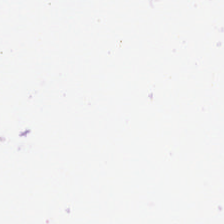H&E stain · whole-slide-image patch. No tissue present; background only.
